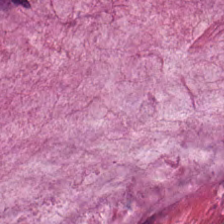0.5 µm per pixel · H&E-stained tissue section.
Predominant tissue: mucus.
